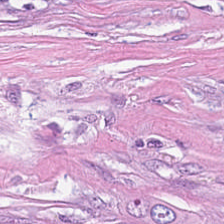Hematoxylin-and-eosin stained section; 224×224 px tile.
Showing cancer-associated stroma.
